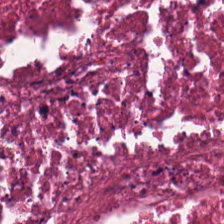Hematoxylin-and-eosin section: cellular debris.
